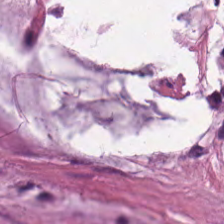20× equivalent magnification. Hematoxylin-and-eosin stained section. Finding → mucus.
